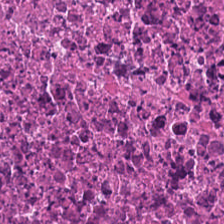H&E. This patch shows cellular debris.
